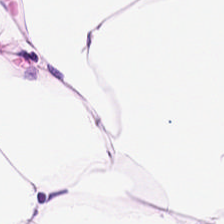0.5 µm per pixel. H&E. Tissue type = adipose.
